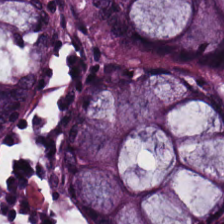Stain: H&E.
Classification: benign colonic mucosa.
